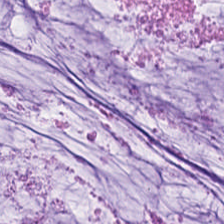The classification is extracellular mucin.
